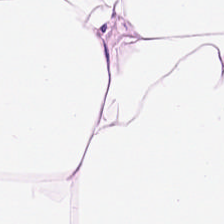Stain: hematoxylin-and-eosin stained section.
Predominant tissue: adipose tissue.
